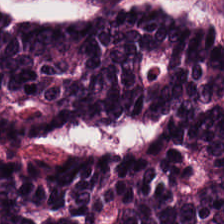Q: What is the predominant tissue type?
A: It is colorectal adenocarcinoma.
